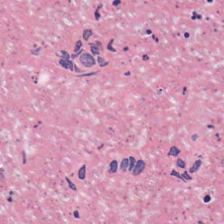224×224 pixel tile; H&E-stained tissue section — Q: Classify this patch.
A: This is cellular debris.
